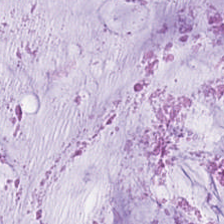H&E-stained tissue section; 224×224 px tile. {"tissue_type": "mucin"}
